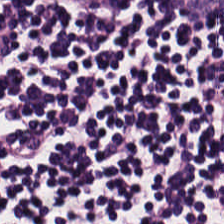H&E — Showing lymphocytic infiltrate.
